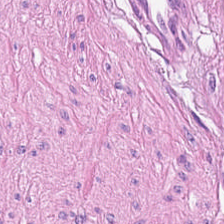H&E patch showing smooth-muscle tissue.
